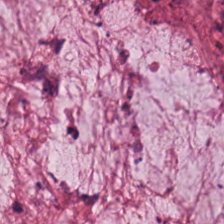Brightfield. Hematoxylin-and-eosin stained section. 224×224 px patch — Classification = mucin.
